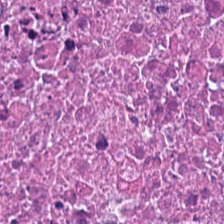Stain: H&E stain.
Resolution: 0.5 microns per pixel.
Acquisition: brightfield.
Predominant tissue: cellular debris.
